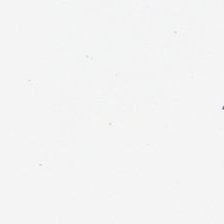Field content = background (no tissue).
